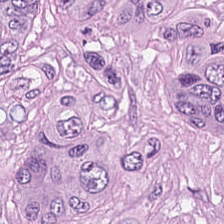Hematoxylin and eosin · 224×224 px patch.
This patch shows malignant epithelium.
